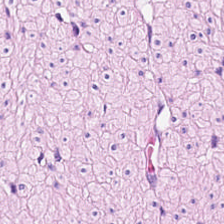0.5 µm/px; 224×224 pixel tile; hematoxylin and eosin. Smooth-muscle tissue.
